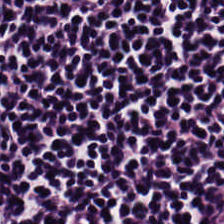H&E stain.
Tissue: lymphocytes.
